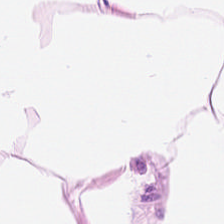Hematoxylin and eosin.
{"tissue_type": "adipose tissue"}
